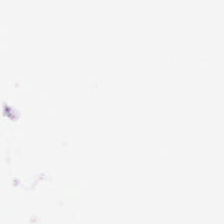Hematoxylin-and-eosin stained section; FFPE.
Q: What is shown in this field?
A: Background.
